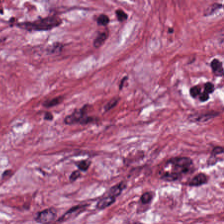Hematoxylin-and-eosin stained section. Brightfield microscopy — Tumor-associated stroma.
